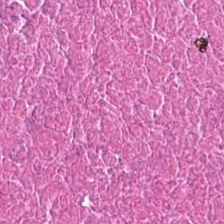H&E. FFPE tissue section — Impression → cellular debris.
